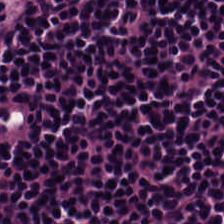H&E; FFPE tissue section. {"tissue_type": "lymphocytes"}
